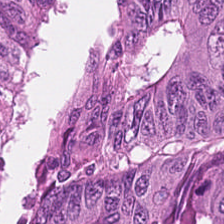224×224 px tile; WSI patch; H&E.
The tissue here is malignant epithelium.
